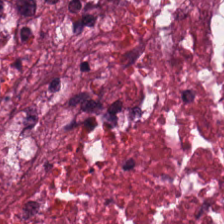H&E stain — Showing cellular debris.
